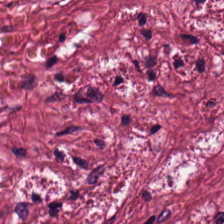Hematoxylin-and-eosin stained section.
The predominant tissue is desmoplastic stroma.
